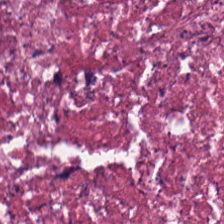0.5 µm/px; H&E stain.
Predominantly cellular debris.
